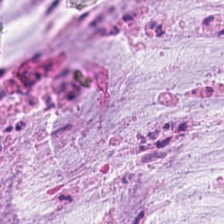H&E-stained tissue section. FFPE. The predominant tissue is mucus.
